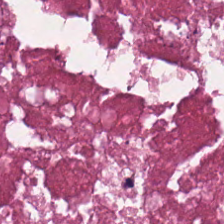H&E stain. 224×224 px tile — Impression → debris.
